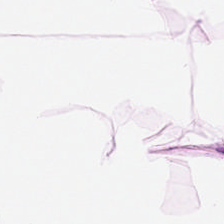H&E.
Q: Classify this patch.
A: It is fat tissue.
